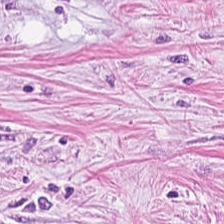This patch shows tumor stroma.
